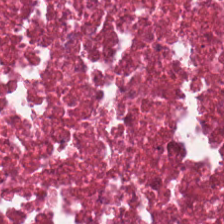H&E-stained tissue section. Brightfield. 224×224 px tile.
Finding → necrotic debris.
